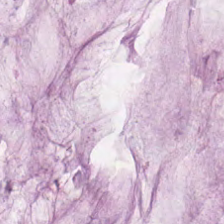224×224 px patch · H&E-stained tissue section — Showing mucus.
